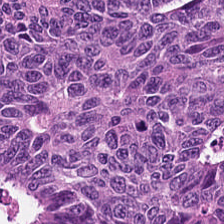H&E stain. The tissue class is malignant epithelium.
